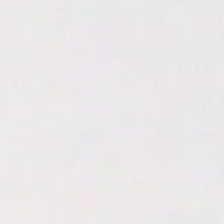Whole-slide-image patch. H&E. FFPE — Field content — empty background.
